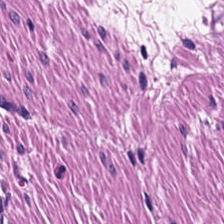H&E.
Showing smooth-muscle tissue.
